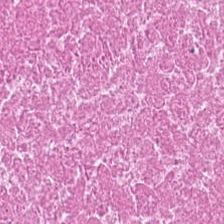H&E-stained tissue section. Finding → necrotic debris.
